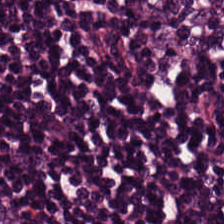Q: What does this patch show?
A: This is lymphocytes.
